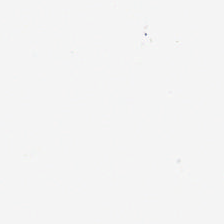Stain: H&E.
Tile size: 224×224 px tile.
Preparation: FFPE.
Classification: empty background.
